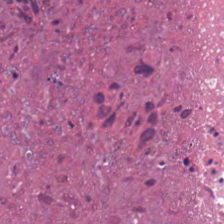H&E-stained tissue section. Q: What is shown here?
A: This is debris.
